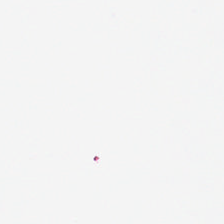H&E · brightfield microscopy · FFPE. Background — no tissue in this field.
